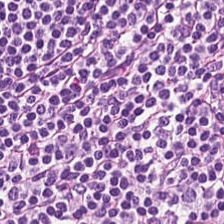H&E stain. 224×224 px tile. The tissue here is lymphoid infiltrate.
